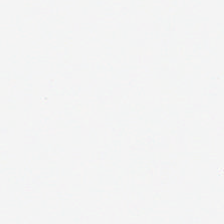Formalin-fixed paraffin-embedded section; whole-slide-image patch; H&E stain.
This field is background (no tissue).
